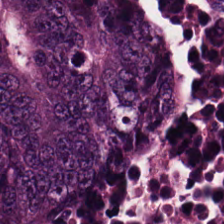224×224 px patch · hematoxylin-and-eosin stained section.
This field is tumor epithelium.
